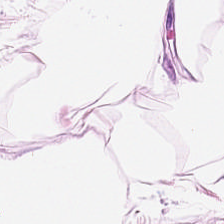H&E-stained section; the field shows adipose.
